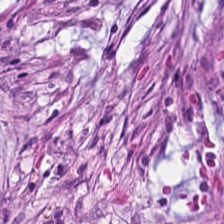Predominant tissue: cancer-associated stroma.
